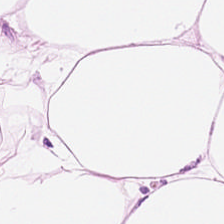H&E stain; brightfield — Classification: adipose tissue.
